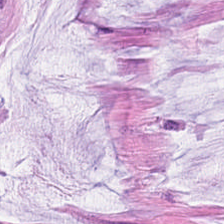0.5 microns per pixel; H&E-stained tissue section; brightfield. This patch shows extracellular mucin.
